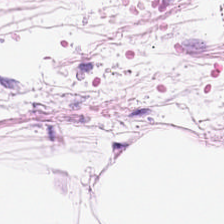Brightfield. H&E stain. 224×224 px tile.
This patch shows adipose tissue.
